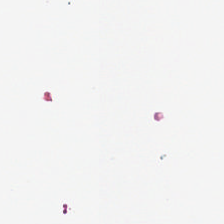H&E-stained tissue section. Classification — background (no tissue).
